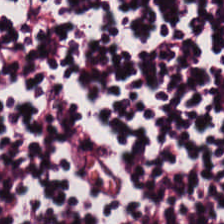This patch shows lymphocytes.
